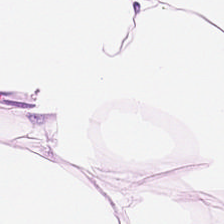Stain: H&E-stained tissue section.
Tissue type: adipose.
